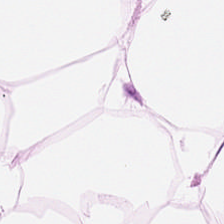Predominant tissue — adipose.
